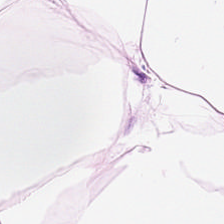Q: What type of tissue is this?
A: It is adipose.
